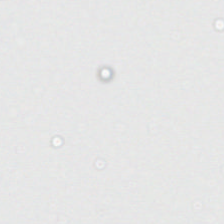FFPE; H&E stain; 0.5 microns per pixel. Field content: no tissue.
